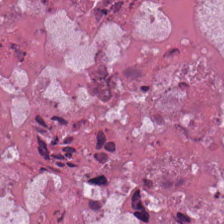Hematoxylin and eosin; formalin-fixed paraffin-embedded section — Q: What does this patch show?
A: This is cellular debris.
